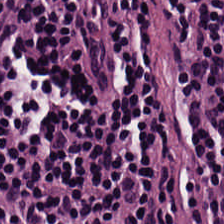H&E. The predominant tissue is lymphoid infiltrate.
